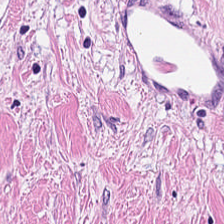Hematoxylin-and-eosin stained section; 224×224 px tile.
The tissue here is tumor-associated stroma.
